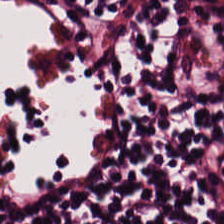0.5 µm per pixel. H&E stain. WSI patch.
{"tissue_type": "lymphocytes"}
